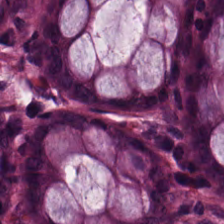Hematoxylin and eosin. Formalin-fixed paraffin-embedded section.
Histology → normal colon mucosa.
